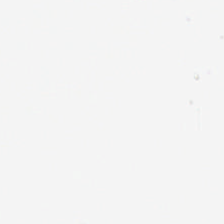Stain: H&E.
Acquisition: brightfield.
Tile size: 224×224 px patch.
Classification: background (no tissue).
